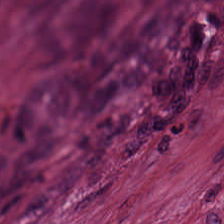Stain: H&E.
Classification: tumor-associated stroma.
